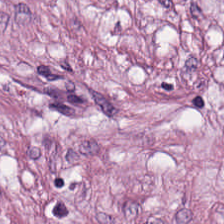Classification = tumor stroma.
